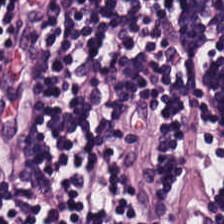Formalin-fixed paraffin-embedded section. Hematoxylin and eosin. Brightfield.
Q: What type of tissue is this?
A: The field shows lymphocytes.
